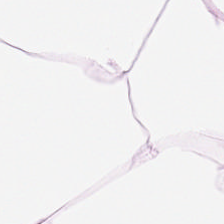Hematoxylin-and-eosin section: adipose tissue.
